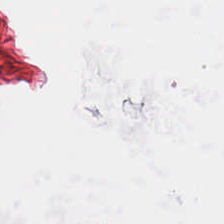Hematoxylin and eosin · FFPE.
Empty field — no tissue.
